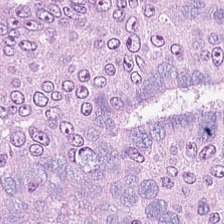H&E. Classification: colorectal adenocarcinoma.
